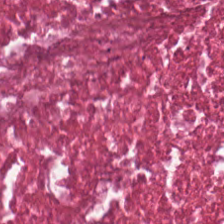Hematoxylin-and-eosin stained section; WSI patch. Histology → debris.
